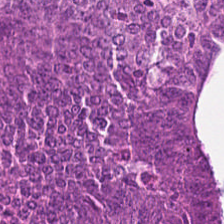Stain: H&E-stained tissue section.
Classification: adenocarcinoma.
